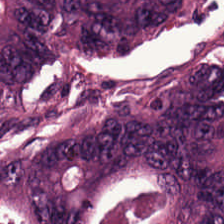H&E · 0.5 µm/px. This field is malignant epithelium.
